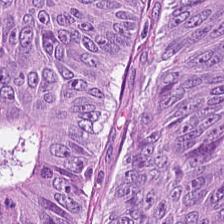H&E. 0.5 µm/px. Tissue = tumor epithelium.
